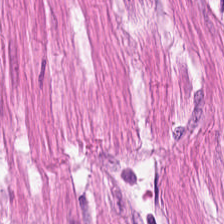Hematoxylin and eosin — Showing smooth muscle.
